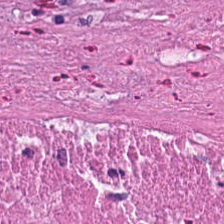Stain: H&E.
Preparation: formalin-fixed paraffin-embedded section.
Tissue: debris.
